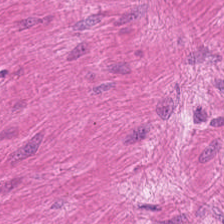H&E; FFPE. Q: Identify the tissue.
A: This is smooth muscle.
